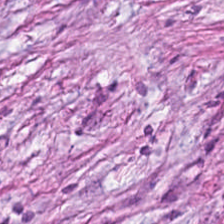Predominant tissue = desmoplastic stroma.
